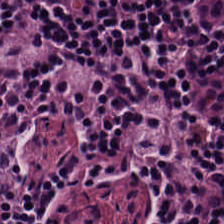Stain: H&E-stained tissue section.
Tissue type: lymphocytic infiltrate.
